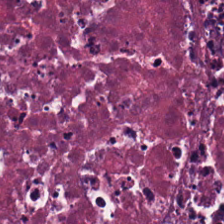Stain: H&E.
Resolution: 0.5 µm per pixel.
Classification: necrotic debris.
